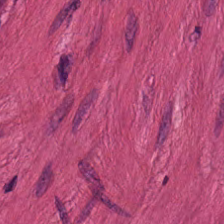H&E-stained tissue section.
Q: What tissue is shown?
A: The field shows muscularis.
